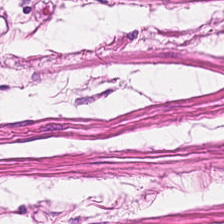Stain: H&E-stained tissue section.
Resolution: 0.5 µm/px.
Preparation: FFPE tissue section.
Classification: smooth-muscle tissue.
